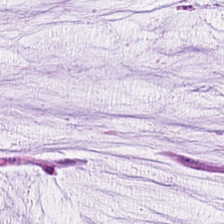Brightfield microscopy; H&E-stained tissue section; 224×224 px patch. Q: What type of tissue is this?
A: It is mucus.
